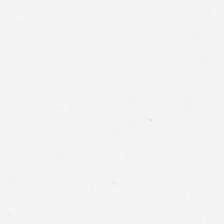The content is no tissue.
